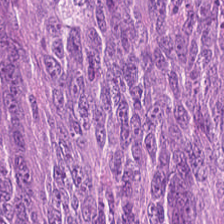Whole-slide-image patch; H&E.
This patch shows malignant epithelium.
